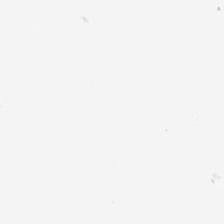Hematoxylin and eosin. FFPE tissue section. 224×224 pixel tile.
Field content = no tissue.
